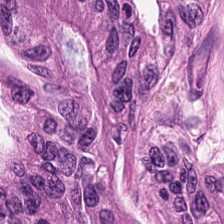WSI patch. Hematoxylin-and-eosin stained section. Formalin-fixed paraffin-embedded section.
Predominant tissue: malignant epithelium.
